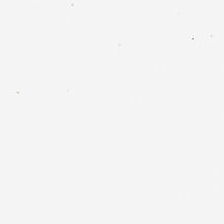Empty field — background.
